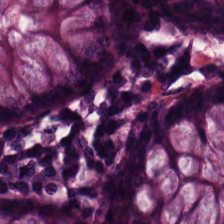Hematoxylin and eosin. Tissue type = benign colonic mucosa.
